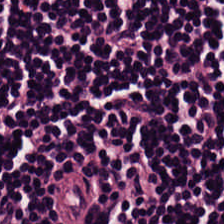Hematoxylin-and-eosin stained section — Q: What does this patch show?
A: This is lymphocytes.
